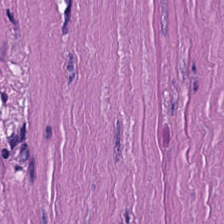Hematoxylin and eosin; brightfield; FFPE tissue section.
Q: What does this patch show?
A: The field shows muscularis.
